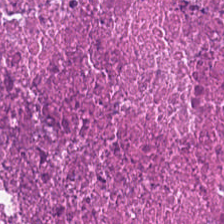Stain: hematoxylin and eosin.
Tissue type: debris.
